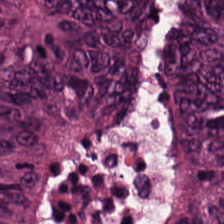Classification = colorectal adenocarcinoma.
